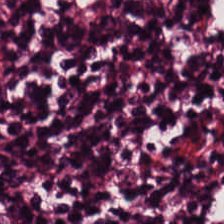This field is lymphoid infiltrate.
